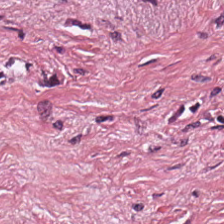The tissue here is tumor stroma.
